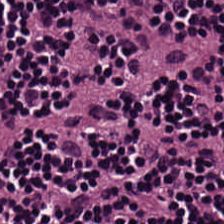Hematoxylin and eosin; WSI patch.
Classification = lymphoid infiltrate.
